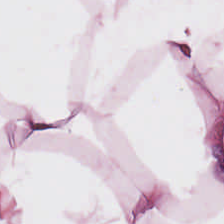H&E · brightfield microscopy — Tissue — adipose.
